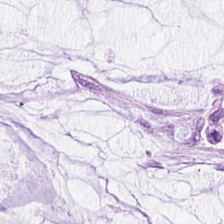0.5 µm/px · formalin-fixed paraffin-embedded section · H&E — The tissue type is mucus.
